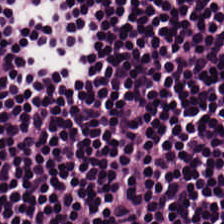H&E; 224×224 px tile; brightfield.
The predominant tissue is lymphoid infiltrate.
